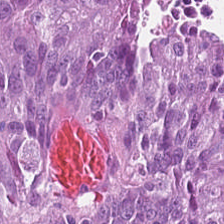Hematoxylin-and-eosin stained section. 0.5 µm/px — Histology → tumor epithelium.
